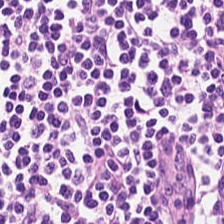Brightfield microscopy · formalin-fixed paraffin-embedded section · hematoxylin and eosin — This field is lymphocyte aggregate.
